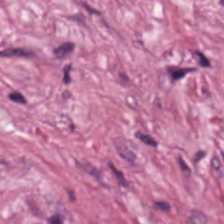224×224 px patch · hematoxylin-and-eosin stained section · 0.5 µm/px.
{"tissue_type": "desmoplastic stroma"}
